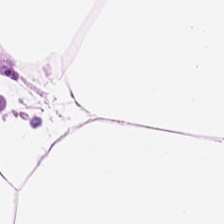Hematoxylin and eosin; FFPE; 0.5 microns per pixel. This patch shows fat tissue.
